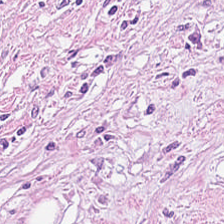Stain: H&E stain.
Tissue class: tumor-associated stroma.
